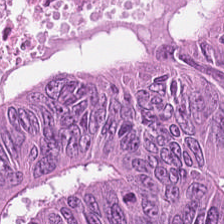Q: Identify the tissue.
A: Colorectal adenocarcinoma epithelium.
